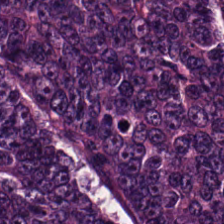Stain: hematoxylin-and-eosin stained section.
Acquisition: brightfield microscopy.
Tissue: colorectal adenocarcinoma.
